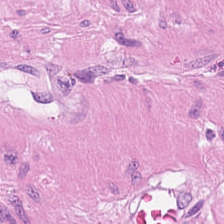H&E — smooth muscle.
